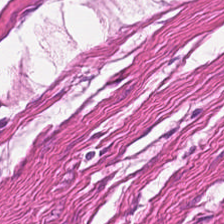Smooth-muscle tissue.
